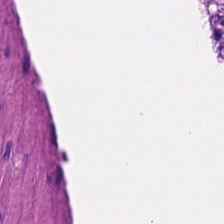Predominant tissue = smooth muscle.
